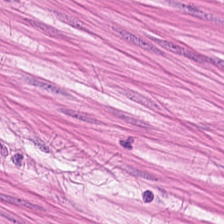H&E — Tissue class = muscularis.
